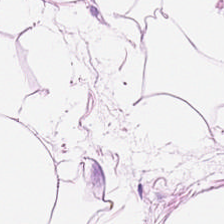0.5 µm/px · FFPE · hematoxylin and eosin.
The tissue class is adipose.
